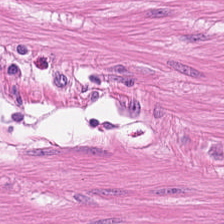224×224 px patch; FFPE; H&E-stained tissue section. Tissue: smooth-muscle tissue.
